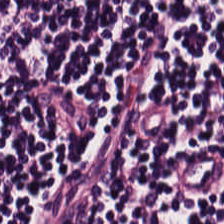H&E-stained tissue section.
Classification: lymphoid infiltrate.
